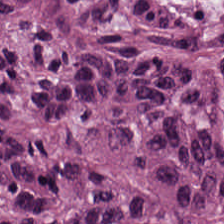Hematoxylin and eosin. 224×224 px patch — The tissue class is colorectal adenocarcinoma.
